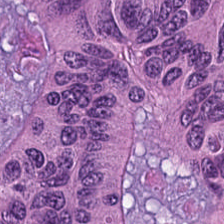H&E stain. Brightfield microscopy. {"tissue_type": "tumor epithelium"}
